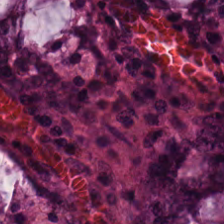WSI patch · hematoxylin and eosin. The classification is non-neoplastic colon mucosa.
